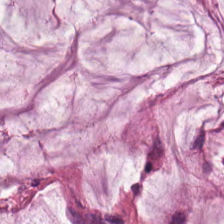Mucus.
